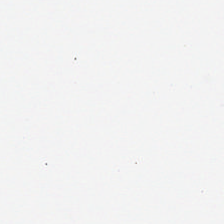H&E.
Background — no tissue in this field.
